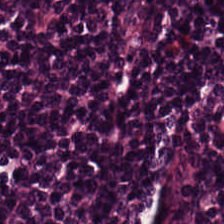Q: What tissue is shown?
A: It is lymphoid infiltrate.
